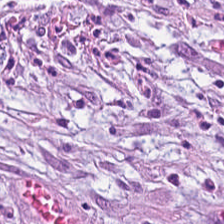Hematoxylin-and-eosin stained section; 0.5 microns per pixel; FFPE tissue section.
Predominantly cancer-associated stroma.
